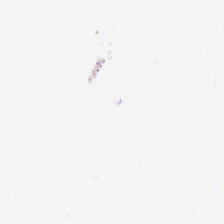Stain: H&E-stained tissue section.
Field content: empty background.
